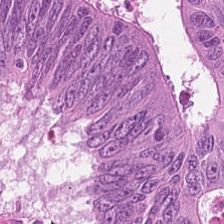Hematoxylin and eosin — Showing tumor epithelium.
